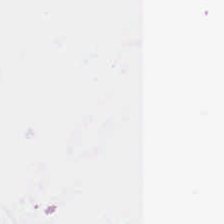Stain: hematoxylin-and-eosin stained section.
Acquisition: brightfield microscopy.
Resolution: 0.5 microns per pixel.
Classification: background.
